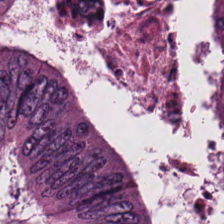H&E stain; FFPE.
This field is colorectal adenocarcinoma.
